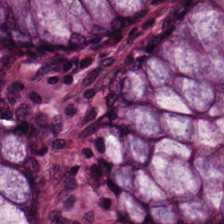Stain: hematoxylin-and-eosin stained section.
Predominant tissue: benign colonic mucosa.
